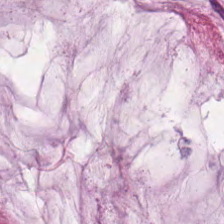224×224 pixel tile · brightfield · hematoxylin-and-eosin stained section. The tissue here is extracellular mucin.
